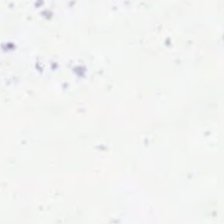H&E stain. This field is background (no tissue).
